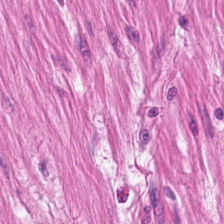H&E — The classification is smooth-muscle tissue.
